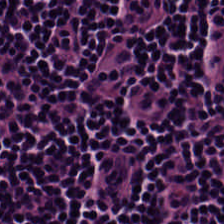H&E-stained tissue section — This field is lymphocyte aggregate.
